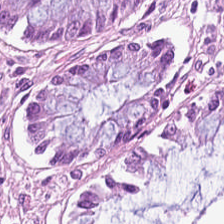Hematoxylin-and-eosin stained section.
This patch shows benign colonic mucosa.
